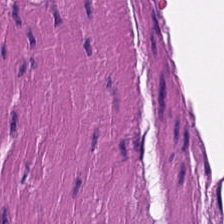Formalin-fixed paraffin-embedded section; H&E stain; WSI patch.
The classification is smooth muscle.
